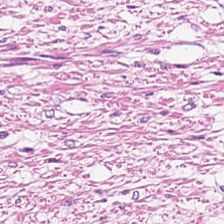H&E-stained tissue section. 0.5 µm per pixel. Tissue = smooth muscle.
